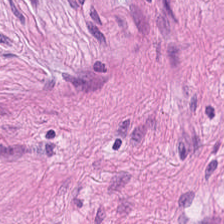Tissue: muscularis.
